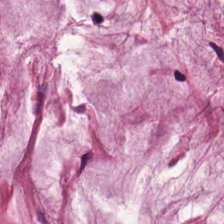The predominant tissue is extracellular mucin.
